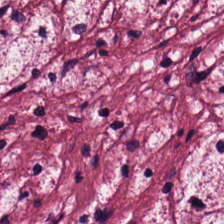Formalin-fixed paraffin-embedded section. H&E-stained tissue section. Whole-slide-image patch — Q: What is the predominant tissue type?
A: Tumor-associated stroma.
